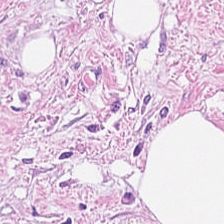H&E-stained tissue section. Whole-slide-image patch — {"tissue_type": "tumor-associated stroma"}
